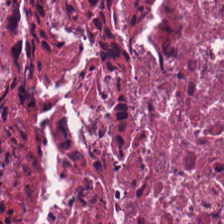Stain: H&E.
Predominant tissue: debris.
